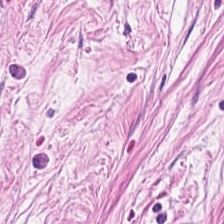Stain: H&E-stained tissue section.
Resolution: 0.5 µm per pixel.
Acquisition: whole-slide-image patch.
Tissue class: tumor stroma.
